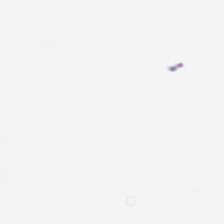Hematoxylin and eosin — Content — empty background.
